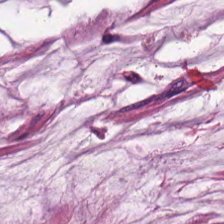Stain: H&E-stained tissue section.
Acquisition: brightfield.
Tissue class: mucin.
